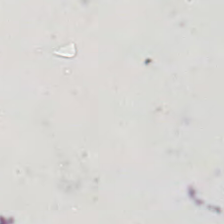Empty field — no tissue.
